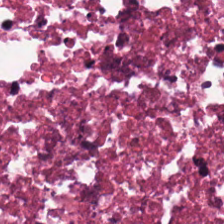Q: What is shown in this field?
A: It is necrotic debris.
